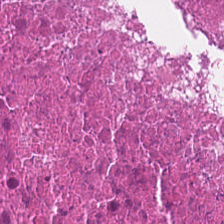This patch shows cellular debris.
